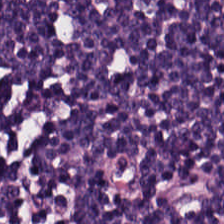Classification — lymphocyte aggregate.
